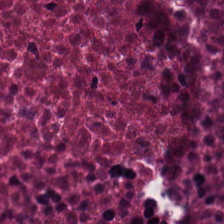20× equivalent magnification · H&E · 224×224 px patch.
Debris.
